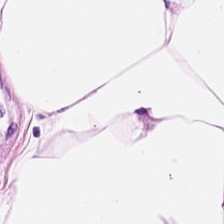H&E — This patch shows fat tissue.
